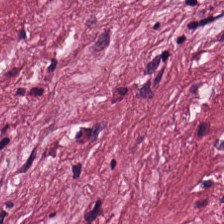H&E.
This field is cancer-associated stroma.
